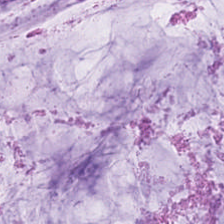Brightfield microscopy. H&E — This field is mucus.
